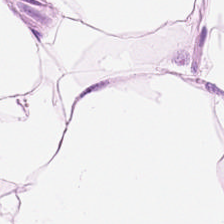H&E-stained tissue section — This field is adipose tissue.
